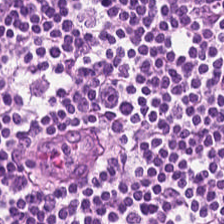0.5 µm per pixel · 224×224 px tile · H&E stain. Predominantly lymphoid infiltrate.
